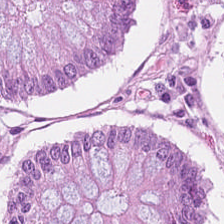Brightfield; H&E; 0.5 µm per pixel — Q: What is shown in this field?
A: It is normal colon mucosa.
